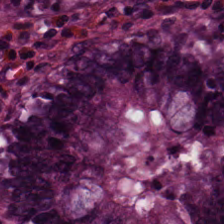Tissue type = benign colonic mucosa.
